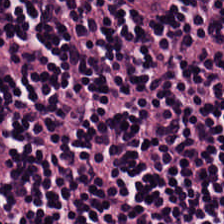H&E — lymphocytic infiltrate.
